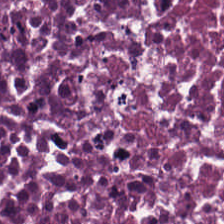H&E-stained tissue section.
Histology → necrotic debris.
